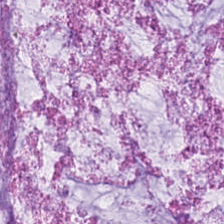Whole-slide-image patch; 224×224 px tile; hematoxylin-and-eosin stained section.
The predominant tissue is extracellular mucin.
